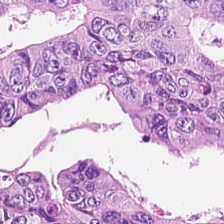FFPE tissue section. H&E-stained tissue section — Impression → colorectal adenocarcinoma epithelium.
